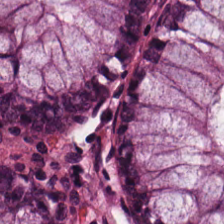Q: What is the predominant tissue type?
A: Normal colon mucosa.
